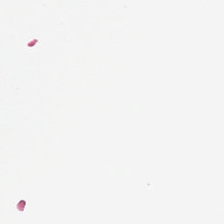Field content — background (no tissue).
